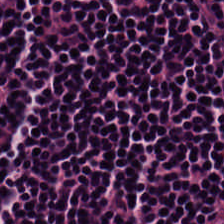H&E stain.
Classification — lymphoid infiltrate.
